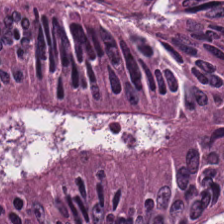FFPE tissue section. Hematoxylin and eosin.
Q: What tissue type is shown here?
A: Adenocarcinoma.
